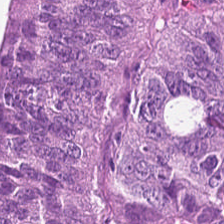{"tissue_type": "tumor epithelium"}
